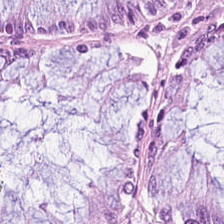Hematoxylin-and-eosin stained section.
Tissue class — normal colonic mucosa.
